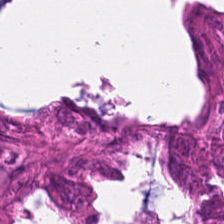Hematoxylin and eosin · 20× equivalent magnification — This patch shows adenocarcinoma.
